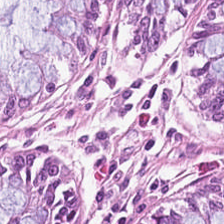Hematoxylin-and-eosin stained section.
Tissue: normal colon mucosa.
